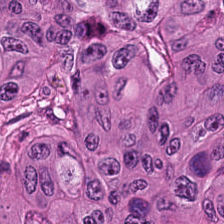{"tissue_type": "tumor epithelium"}
